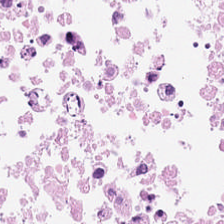Stain: H&E.
Tissue class: cellular debris.
